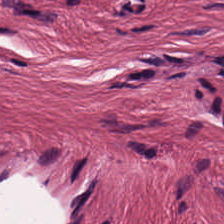H&E stain.
The tissue here is tumor stroma.
